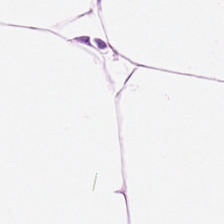Whole-slide-image patch · hematoxylin-and-eosin stained section — Tissue type — adipose.
